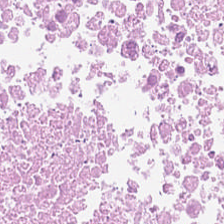Stain: hematoxylin and eosin.
Resolution: 0.5 µm/px.
Tissue: cellular debris.
